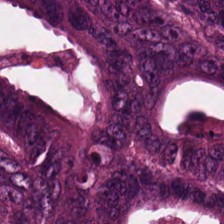H&E. Tissue type: malignant epithelium.
